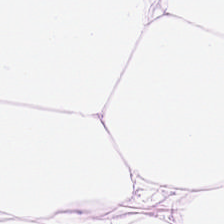Stain: H&E.
Classification: adipose tissue.
